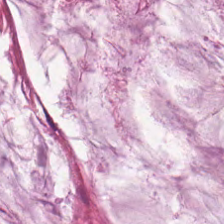H&E stain — Tissue class: extracellular mucin.
